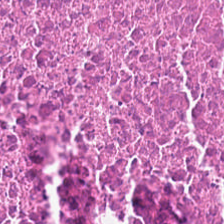Q: Identify the tissue.
A: Necrotic debris.
